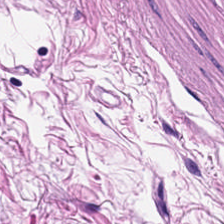H&E-stained tissue section — Smooth-muscle tissue.
